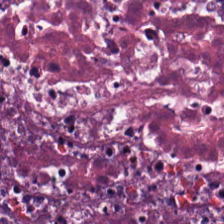Q: Classify this patch.
A: The field shows necrotic debris.
